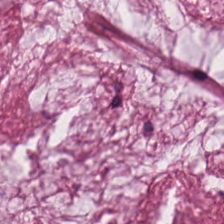Predominantly extracellular mucin.
